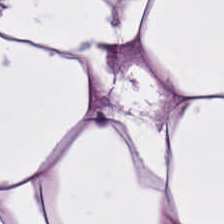Hematoxylin-and-eosin stained section. 224×224 px tile.
Q: What is shown here?
A: This is adipose tissue.
